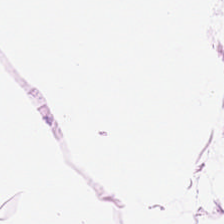Tissue class — adipocytes.
